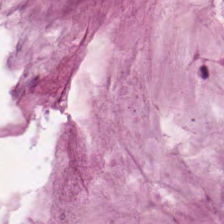H&E. 0.5 µm per pixel. This patch shows extracellular mucin.
